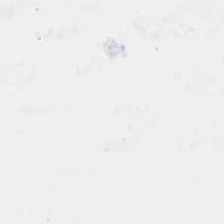0.5 µm/px; H&E.
Q: What is shown here?
A: No tissue.
